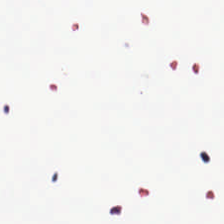This patch shows no tissue.
